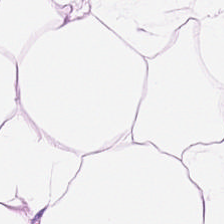H&E — adipose.
